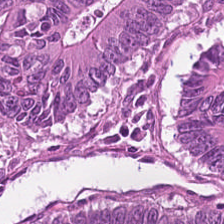H&E stain.
Tissue class = adenocarcinoma.
